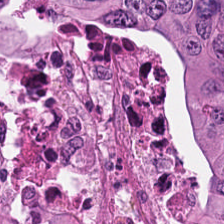Hematoxylin and eosin — Showing malignant epithelium.
